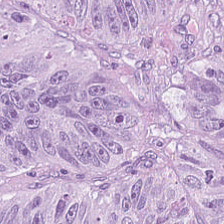H&E-stained tissue section.
Predominant tissue: tumor epithelium.
